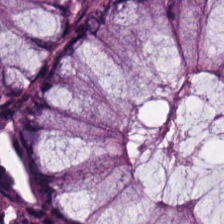224×224 px tile; H&E stain — Showing benign colonic mucosa.
